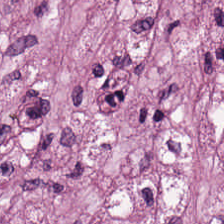Predominant tissue = desmoplastic stroma.
